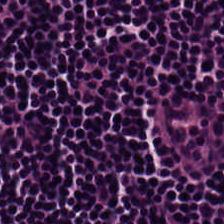FFPE tissue section; 224×224 pixel tile; hematoxylin-and-eosin stained section. Tissue type = lymphocyte aggregate.
